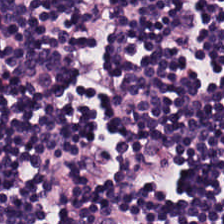The classification is lymphocytes.
